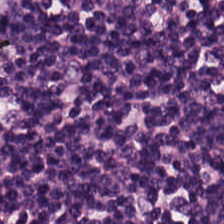H&E stain.
Predominantly lymphocytes.
